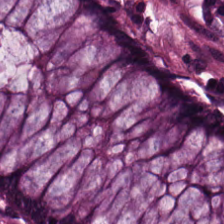H&E-stained tissue section — Q: Classify this patch.
A: The field shows non-neoplastic colon mucosa.
